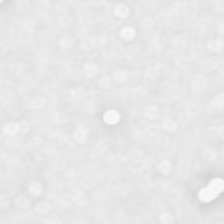H&E stain. This field is background (no tissue).
